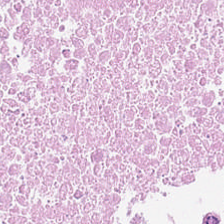H&E.
Impression → debris.
